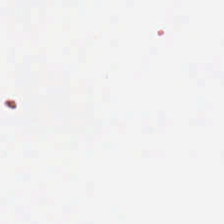H&E-stained tissue section · formalin-fixed paraffin-embedded section.
Field content = no tissue.
